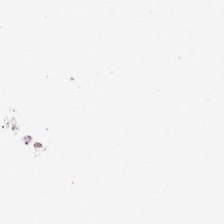H&E stain — Background (no tissue).
